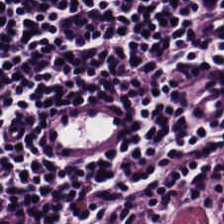Hematoxylin-and-eosin stained section.
Q: What is shown in this field?
A: Lymphoid infiltrate.
